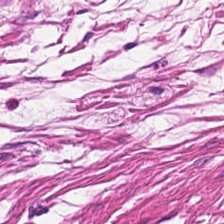This patch shows smooth-muscle tissue.
